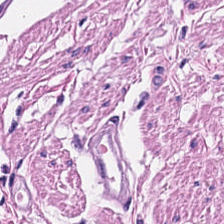224×224 pixel tile · hematoxylin-and-eosin stained section · 0.5 µm per pixel.
Smooth-muscle tissue.
